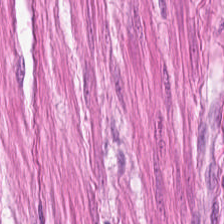Stain: hematoxylin-and-eosin stained section.
Resolution: 0.5 microns per pixel.
Classification: muscularis.
